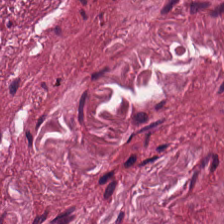H&E · WSI patch · FFPE tissue section.
Tissue class: desmoplastic stroma.
